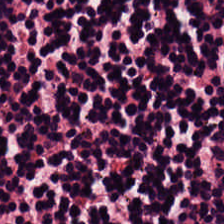Lymphocytic infiltrate.
